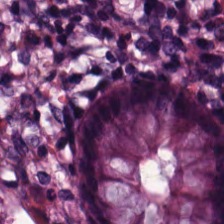Hematoxylin and eosin — Benign colonic mucosa.
